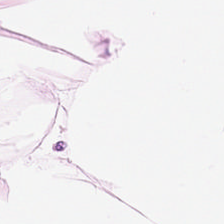Stain: H&E stain.
Classification: adipose.
